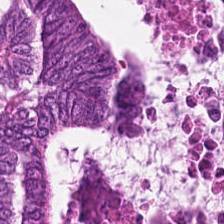Q: What tissue is shown?
A: It is adenocarcinoma.
